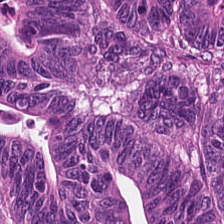H&E-stained tissue section. The tissue here is tumor epithelium.
